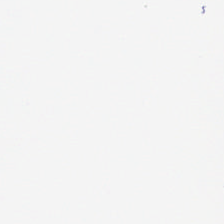H&E stain — Q: What is shown in this field?
A: The field shows empty background.
